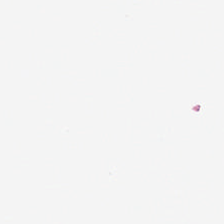Field content — empty background.
